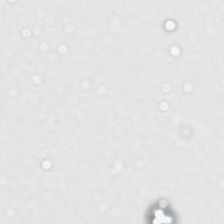Stain: H&E stain.
Field content: empty background.
